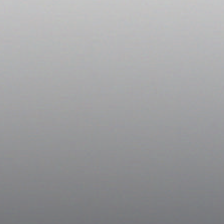WSI patch. H&E. This field is background (no tissue).
